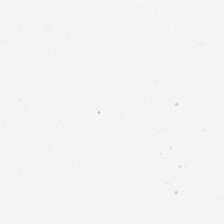H&E-stained tissue section · FFPE. Content — background (no tissue).
